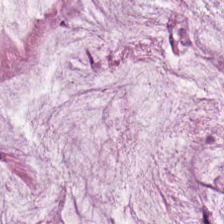Tissue: extracellular mucin.
